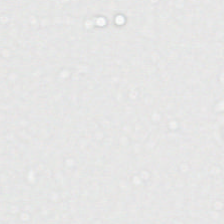Hematoxylin and eosin. Background — no tissue in this field.
